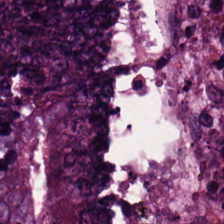0.5 microns per pixel. H&E — Predominant tissue — tumor epithelium.
